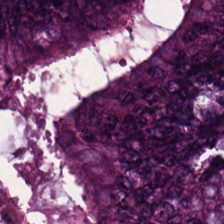WSI patch · 20× equivalent magnification · hematoxylin-and-eosin stained section — Colorectal adenocarcinoma.
